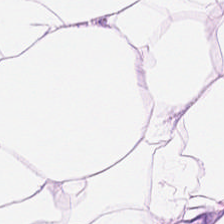H&E-stained tissue section — The tissue here is adipose.
